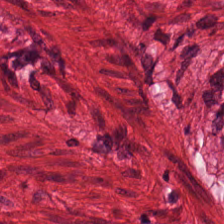Stain: H&E-stained tissue section.
Tile size: 224×224 pixel tile.
Acquisition: WSI patch.
Tissue class: muscularis.
